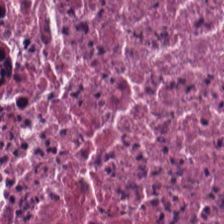Stain: hematoxylin-and-eosin stained section.
Preparation: formalin-fixed paraffin-embedded section.
Tile size: 224×224 px tile.
Tissue type: necrotic debris.
